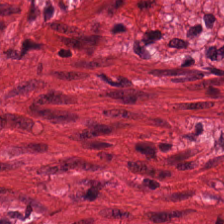Q: What type of tissue is this?
A: It is smooth-muscle tissue.
